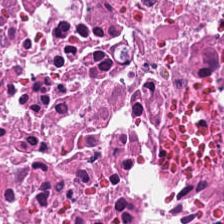H&E-stained section; the field shows necrotic debris.
